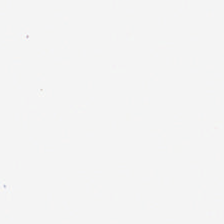Empty field — empty background.
